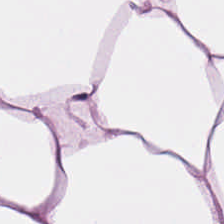H&E. Formalin-fixed paraffin-embedded section.
Impression → fat tissue.
